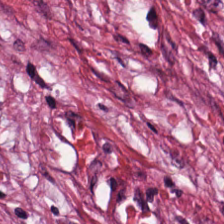Hematoxylin and eosin. Predominant tissue: tumor stroma.
